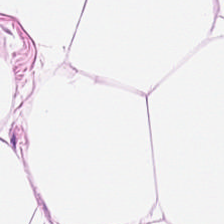H&E-stained tissue section. Classification: fat tissue.
